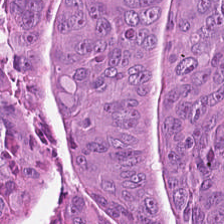Stain: H&E-stained tissue section.
Acquisition: WSI patch.
Tile size: 224×224 px tile.
Predominant tissue: colorectal adenocarcinoma.
